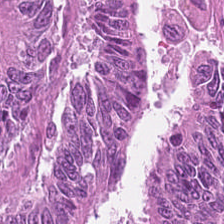H&E-stained tissue section · 20× equivalent magnification.
The predominant tissue is adenocarcinoma.
